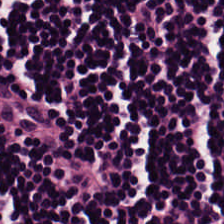H&E-stained tissue section · formalin-fixed paraffin-embedded section · brightfield microscopy. Tissue: lymphocytes.
